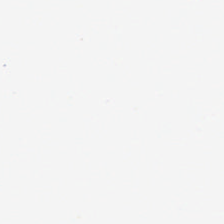H&E stain; formalin-fixed paraffin-embedded section. This patch shows background.
